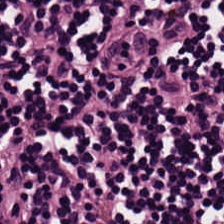FFPE; H&E-stained tissue section. The tissue here is lymphocytes.
